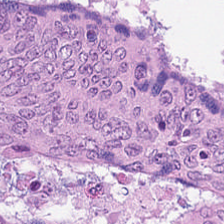Finding → tumor epithelium.
